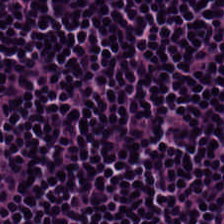H&E. The tissue is lymphocytes.
